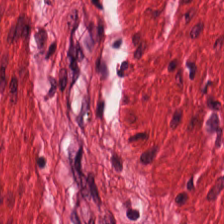H&E — Classification = muscularis.
